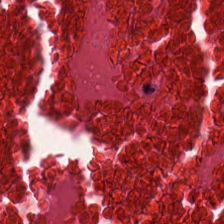Whole-slide-image patch · H&E stain. Classification = cellular debris.
